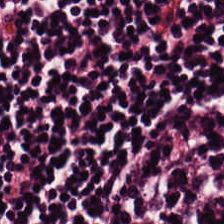H&E.
The predominant tissue is lymphocyte aggregate.
